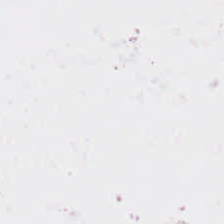Brightfield microscopy; H&E stain.
No tissue present; background only.
